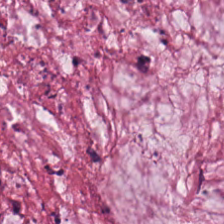224×224 px patch · hematoxylin-and-eosin stained section.
The predominant tissue is extracellular mucin.
